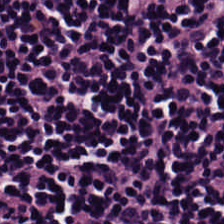Hematoxylin-and-eosin stained section — Tissue — lymphocytic infiltrate.
